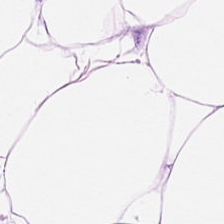H&E — fat tissue.
